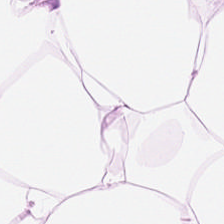Hematoxylin-and-eosin stained section. Showing adipose.
